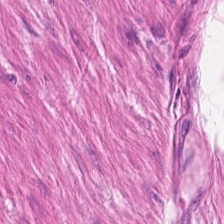Brightfield microscopy. Hematoxylin and eosin. 224×224 px tile — Tissue = smooth muscle.
